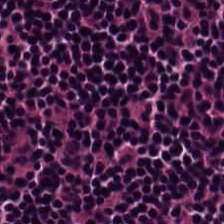H&E — Q: What does this patch show?
A: The field shows lymphocytes.
